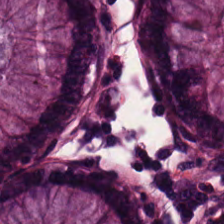Stain: H&E-stained tissue section.
Tile size: 224×224 px tile.
Classification: non-neoplastic colon mucosa.
